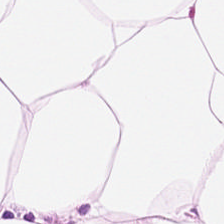H&E stain. Q: What is shown here?
A: It is adipocytes.
